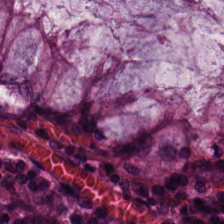This patch shows normal colon mucosa.
